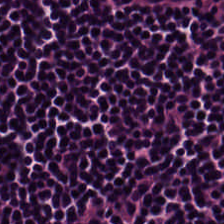H&E stain. Q: What type of tissue is this?
A: It is lymphocytic infiltrate.
